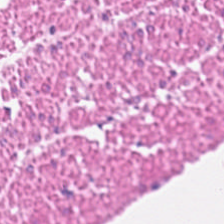{"tissue_type": "smooth muscle"}
